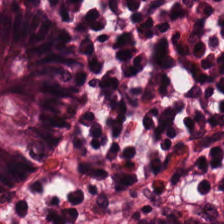H&E stain · FFPE. Q: What type of tissue is this?
A: This is non-neoplastic colon mucosa.
